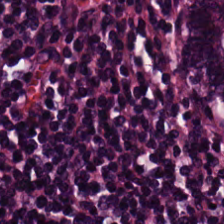Histology → lymphocyte aggregate.
